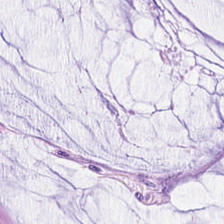Stain: hematoxylin-and-eosin stained section.
Classification: mucus.
